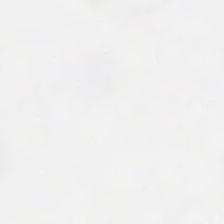H&E; 224×224 px patch. This patch shows empty background.
